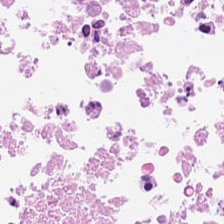Hematoxylin-and-eosin stained section.
This patch shows necrotic debris.
